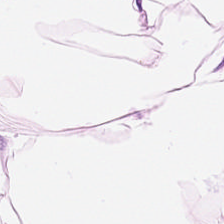Classification — adipose.
